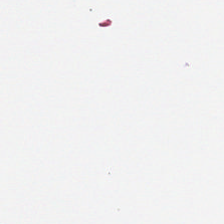This patch shows background (no tissue).
